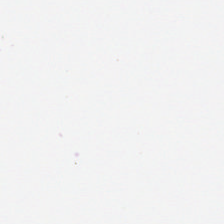H&E-stained tissue section — {"content": "no tissue"}
